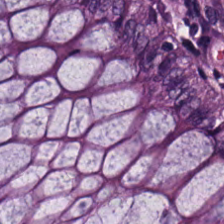Hematoxylin and eosin. WSI patch — Showing benign colonic mucosa.
